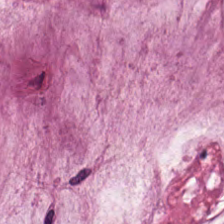WSI patch. H&E-stained tissue section. Formalin-fixed paraffin-embedded section — The predominant tissue is mucus.
